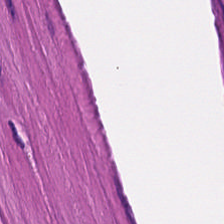Hematoxylin and eosin · brightfield. Tissue: muscularis.
